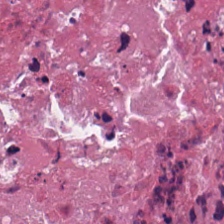H&E stain.
The predominant tissue is cellular debris.
